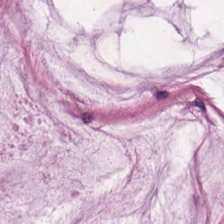This field is mucin.
